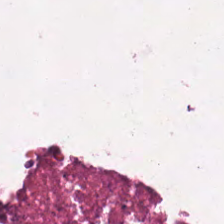0.5 µm/px · H&E — Impression — necrotic debris.
